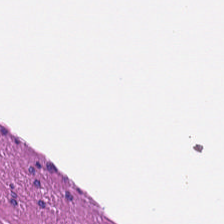Hematoxylin and eosin — Tissue class: muscularis.
